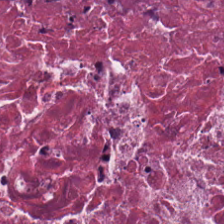Formalin-fixed paraffin-embedded section; H&E-stained tissue section; whole-slide-image patch.
This patch shows cellular debris.
